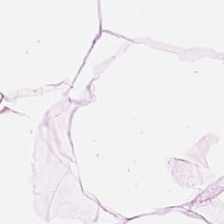H&E patch showing adipose tissue.
